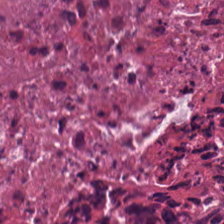Finding — debris.
